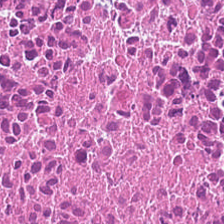Hematoxylin and eosin · brightfield. Debris.
